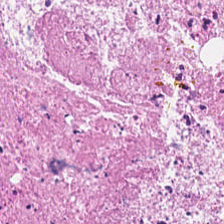H&E-stained tissue section — {"tissue_type": "necrotic debris"}
